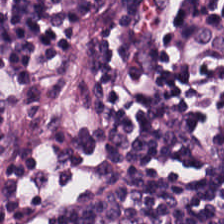H&E-stained tissue section. 20× equivalent magnification. FFPE tissue section. The predominant tissue is lymphocytic infiltrate.
